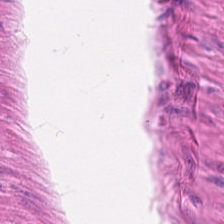Stain: hematoxylin-and-eosin stained section.
Classification: smooth muscle.
